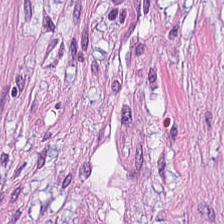Stain: hematoxylin and eosin.
Tissue class: tumor stroma.
